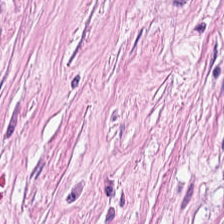FFPE; hematoxylin-and-eosin stained section; 0.5 µm/px — The tissue here is tumor stroma.
